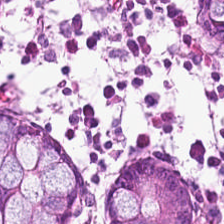Hematoxylin and eosin.
Q: What is shown here?
A: It is normal colonic mucosa.
